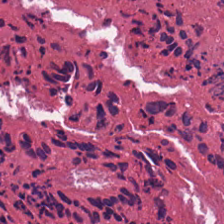H&E. 224×224 px tile. WSI patch.
Q: What tissue is shown?
A: This is cellular debris.
